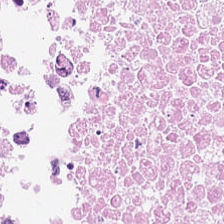Brightfield microscopy · hematoxylin and eosin.
Showing cellular debris.
